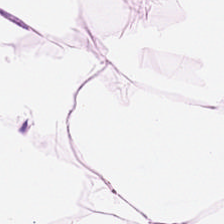Showing adipose.
